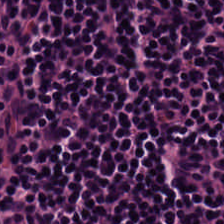H&E.
Predominant tissue = lymphocytic infiltrate.
